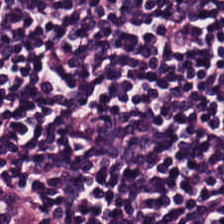Tissue type — lymphocytes.
